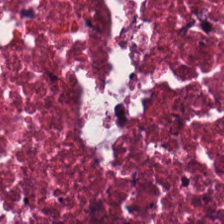Stain: H&E-stained tissue section.
Tissue class: necrotic debris.
